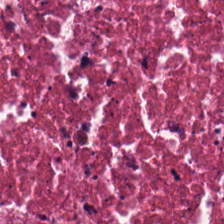Hematoxylin-and-eosin stained section · 0.5 microns per pixel.
Q: What tissue is shown?
A: Necrotic debris.
